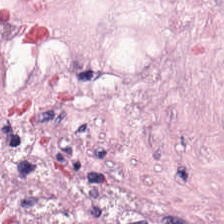Desmoplastic stroma.
